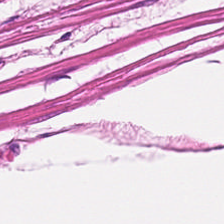H&E stain; 224×224 px patch — Q: What does this patch show?
A: The field shows smooth-muscle tissue.
